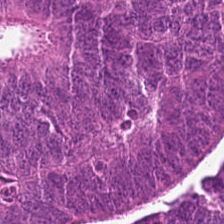H&E — colorectal adenocarcinoma epithelium.
